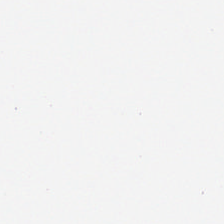224×224 px patch · hematoxylin-and-eosin stained section.
Impression → background (no tissue).
